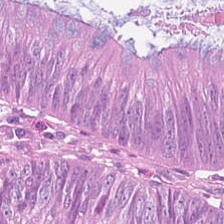Stain: H&E stain.
Tissue type: colorectal adenocarcinoma epithelium.
